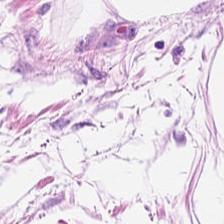Stain: H&E.
Tile size: 224×224 px tile.
Classification: adipose.
